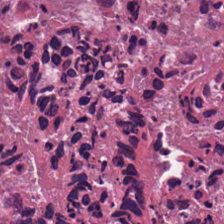H&E; brightfield. Predominant tissue = necrotic debris.
